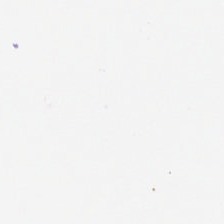H&E-stained tissue section · brightfield microscopy — Histology — background (no tissue).
